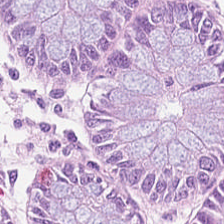WSI patch. H&E-stained tissue section.
Predominantly normal colon mucosa.
